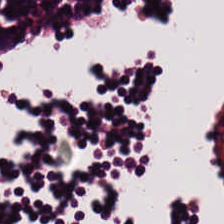H&E — {"tissue_type": "lymphocytes"}
